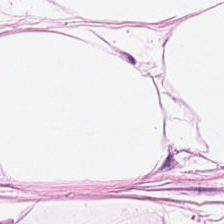Stain: hematoxylin-and-eosin stained section.
Tissue type: adipose.
